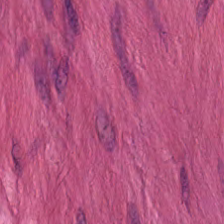Stain: H&E stain.
Acquisition: WSI patch.
Preparation: formalin-fixed paraffin-embedded section.
Classification: smooth-muscle tissue.
